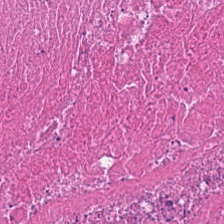Stain: H&E stain.
Acquisition: WSI patch.
Resolution: 0.5 µm/px.
Predominant tissue: cellular debris.
